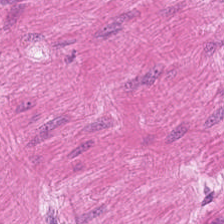The classification is smooth-muscle tissue.
